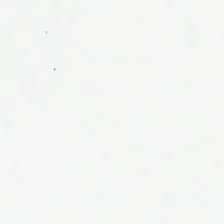Q: What is shown in this field?
A: This is background (no tissue).
